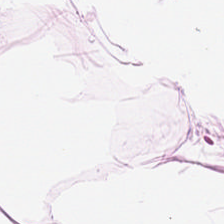H&E stain · brightfield. {"tissue_type": "adipocytes"}
